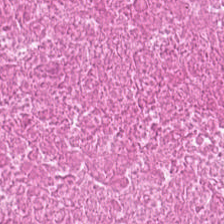Stain: H&E.
Acquisition: brightfield.
Tissue type: cellular debris.
